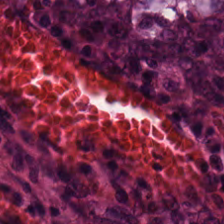WSI patch · H&E. Showing benign colonic mucosa.
